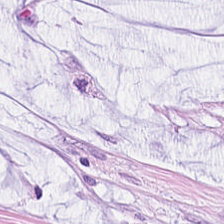Hematoxylin and eosin; 20× equivalent magnification. This field is mucin.
